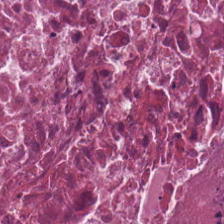224×224 pixel tile · hematoxylin-and-eosin stained section. Tissue class — debris.
